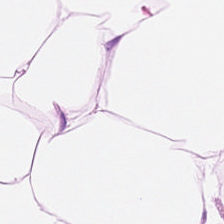Q: Classify this patch.
A: Adipose.
